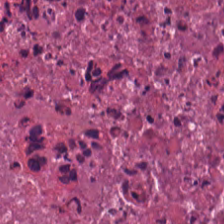H&E stain. 0.5 µm per pixel.
Predominantly cellular debris.
